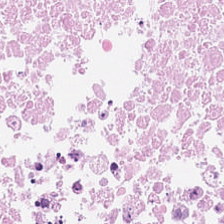The predominant tissue is cellular debris.
